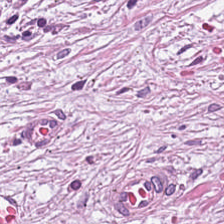H&E-stained tissue section · whole-slide-image patch. Tissue = cancer-associated stroma.
